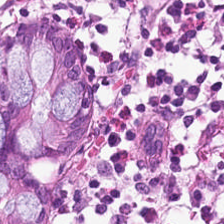The predominant tissue is normal colon mucosa.
